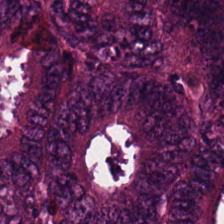0.5 microns per pixel. H&E-stained tissue section. FFPE.
Q: What type of tissue is this?
A: The field shows adenocarcinoma.
